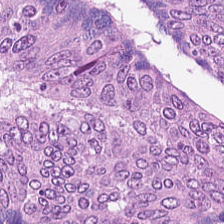Hematoxylin and eosin — Q: What tissue is shown?
A: This is colorectal adenocarcinoma epithelium.
